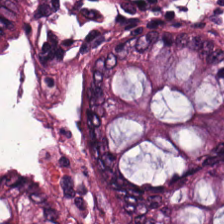FFPE; H&E-stained tissue section; 0.5 µm/px — Predominant tissue = non-neoplastic colon mucosa.
